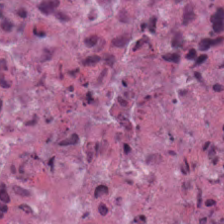H&E stain — This patch shows debris.
